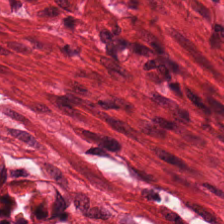FFPE tissue section · hematoxylin and eosin. Showing muscularis.
